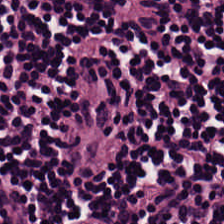224×224 pixel tile. WSI patch. Hematoxylin and eosin — Q: What does this patch show?
A: This is lymphocyte aggregate.
